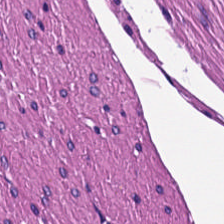H&E-stained tissue section; formalin-fixed paraffin-embedded section — The tissue here is smooth muscle.
